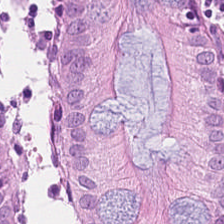Classification: non-neoplastic colon mucosa.
